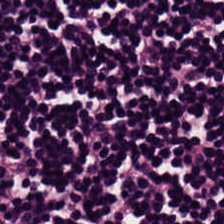H&E stain — Predominantly lymphocyte aggregate.
